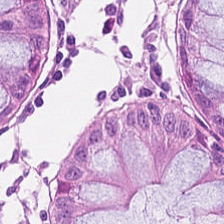H&E. Q: Identify the tissue.
A: It is non-neoplastic colon mucosa.
